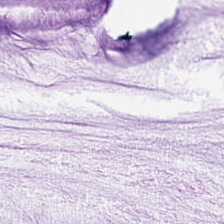Extracellular mucin.
